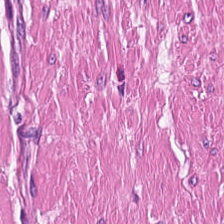Hematoxylin-and-eosin stained section; WSI patch; FFPE.
Muscularis.
